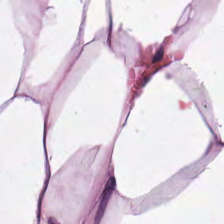WSI patch. H&E-stained tissue section.
Predominant tissue: adipocytes.
